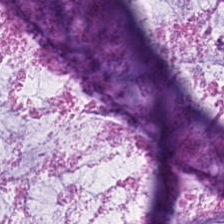Hematoxylin-and-eosin stained section — The tissue here is extracellular mucin.
